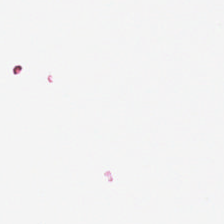224×224 px tile; hematoxylin and eosin.
Background — no tissue in this field.
